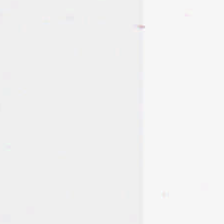Stain: H&E stain.
Acquisition: brightfield.
Tile size: 224×224 px patch.
Content: no tissue.
